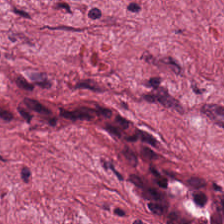This patch shows desmoplastic stroma.
